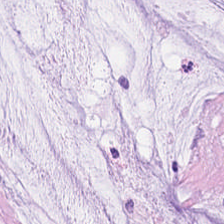Hematoxylin-and-eosin stained section. The tissue type is extracellular mucin.
